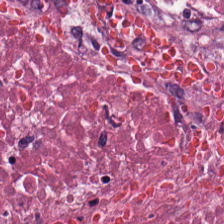Hematoxylin-and-eosin stained section. Impression → debris.
